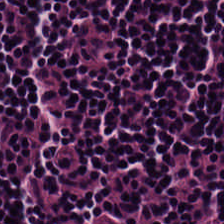Formalin-fixed paraffin-embedded section · hematoxylin-and-eosin stained section. {"tissue_type": "lymphoid infiltrate"}
